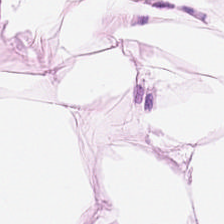Hematoxylin-and-eosin section: adipose tissue.
